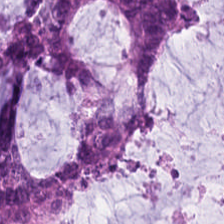This patch shows mucin.
